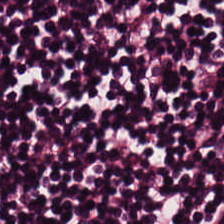Hematoxylin and eosin.
Q: What is the predominant tissue type?
A: Lymphocyte aggregate.
